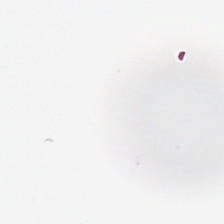Hematoxylin and eosin. No tissue present; background only.
